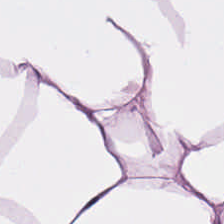224×224 px patch. Hematoxylin and eosin. Tissue type: adipose.
